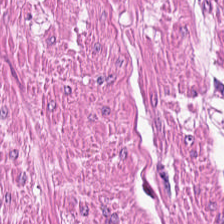FFPE tissue section · H&E stain · 224×224 pixel tile — Tissue = smooth muscle.
